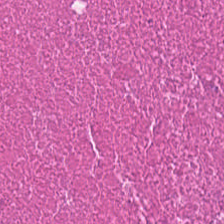224×224 px patch. H&E stain — Q: What is shown here?
A: Necrotic debris.
